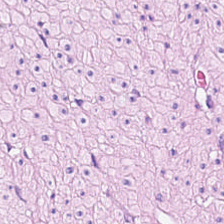H&E. 0.5 µm per pixel. Q: What is shown here?
A: Smooth-muscle tissue.
